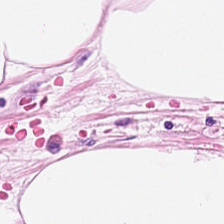{"tissue_type": "adipose"}
